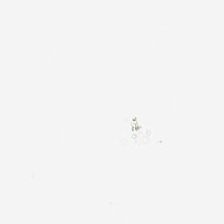No tissue present; background only.
